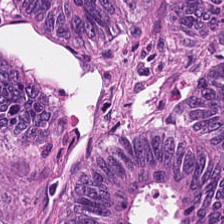H&E.
Showing adenocarcinoma.
